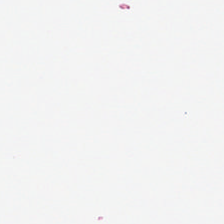No tissue present; background only.
